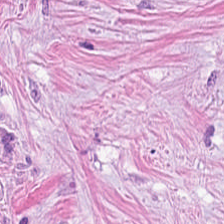Hematoxylin and eosin — Tissue: tumor-associated stroma.
